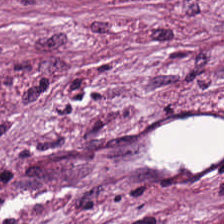Stain: H&E stain.
Acquisition: brightfield microscopy.
Tissue type: tumor stroma.
